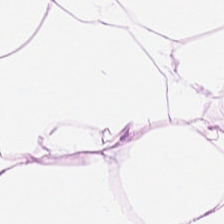Classification = adipose.
